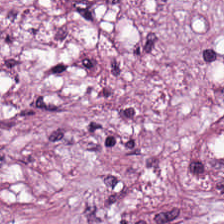H&E-stained section; the field shows desmoplastic stroma.
